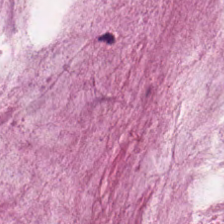Hematoxylin-and-eosin stained section. Predominant tissue: extracellular mucin.
